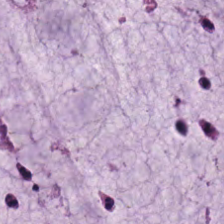Q: What does this patch show?
A: This is mucus.
